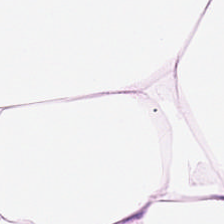0.5 µm per pixel. H&E stain. Predominantly fat tissue.
